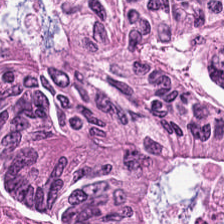Stain: H&E stain.
Tile size: 224×224 px tile.
Tissue: colorectal adenocarcinoma epithelium.
